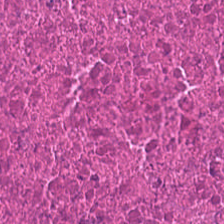Hematoxylin-and-eosin stained section. Predominant tissue: necrotic debris.
